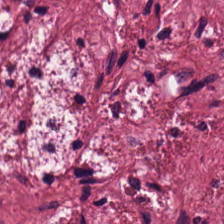20× equivalent magnification · H&E stain — Classification: tumor-associated stroma.
